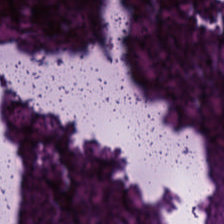Hematoxylin-and-eosin stained section — Q: What tissue type is shown here?
A: Debris.
